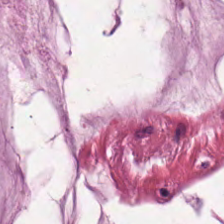WSI patch · H&E-stained tissue section — The predominant tissue is mucin.
